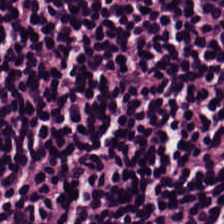Stain: H&E-stained tissue section.
Tissue: lymphoid infiltrate.
